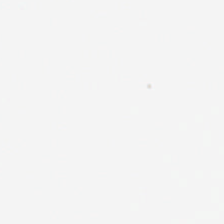Stain: hematoxylin-and-eosin stained section.
Classification: no tissue.
